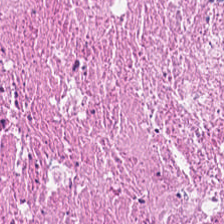H&E. Impression → debris.
